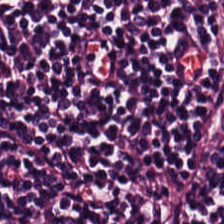Stain: hematoxylin and eosin.
Tile size: 224×224 px tile.
Classification: lymphocyte aggregate.
